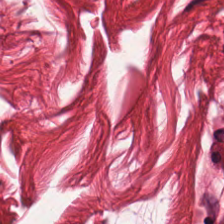H&E stain. Q: What tissue is shown?
A: It is muscularis.
